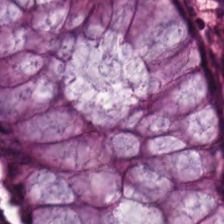Stain: H&E-stained tissue section.
Preparation: FFPE tissue section.
Acquisition: brightfield microscopy.
Predominant tissue: normal colonic mucosa.
